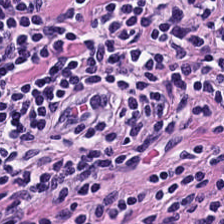20× equivalent magnification; H&E-stained tissue section.
Tissue = lymphoid infiltrate.
